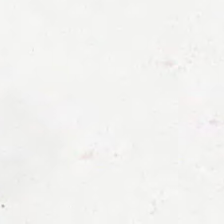H&E-stained tissue section. Classification = no tissue.
